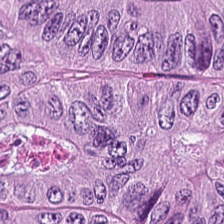Formalin-fixed paraffin-embedded section; H&E-stained tissue section.
Showing adenocarcinoma.
